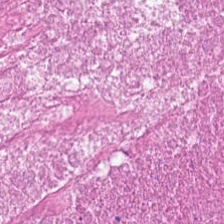H&E. 0.5 µm per pixel — Impression — debris.
